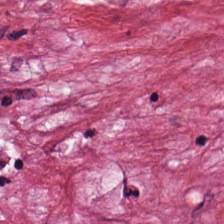H&E.
Histology — desmoplastic stroma.
